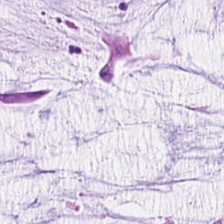Stain: H&E stain.
Classification: mucus.
